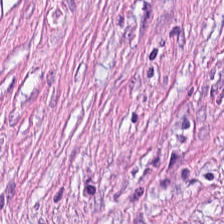Formalin-fixed paraffin-embedded section · hematoxylin and eosin. {"tissue_type": "desmoplastic stroma"}
